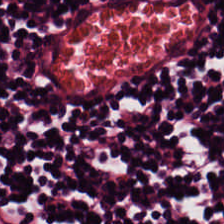224×224 px tile · H&E-stained tissue section · 0.5 microns per pixel.
Finding — lymphocyte aggregate.
